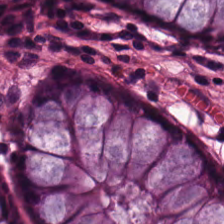H&E stain; WSI patch.
The predominant tissue is normal colon mucosa.
